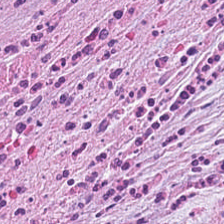Histology → tumor-associated stroma.
